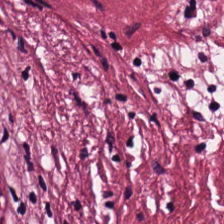224×224 pixel tile · H&E-stained tissue section.
Desmoplastic stroma.
